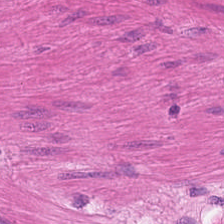H&E stain. Q: Identify the tissue.
A: The field shows smooth muscle.
